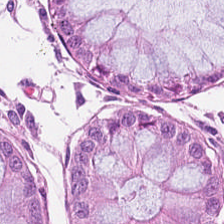0.5 microns per pixel. Formalin-fixed paraffin-embedded section. H&E-stained tissue section.
Tissue type: benign colonic mucosa.
